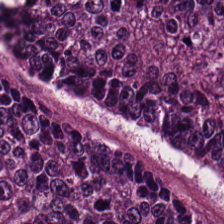H&E; 0.5 µm per pixel — {"tissue_type": "colorectal adenocarcinoma"}
